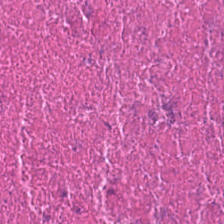Finding — debris.
